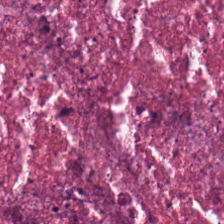Stain: H&E stain.
Acquisition: WSI patch.
Classification: debris.
